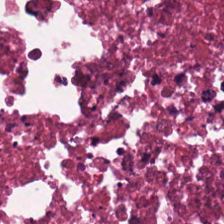Stain: hematoxylin and eosin.
Classification: necrotic debris.
